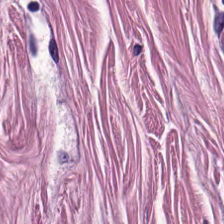224×224 px tile · hematoxylin and eosin. The tissue type is smooth muscle.
